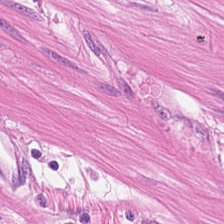H&E stain · 0.5 µm/px — The tissue here is smooth muscle.
